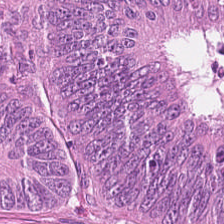Histology → tumor epithelium.
